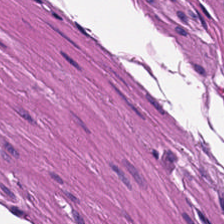This patch shows smooth-muscle tissue.
